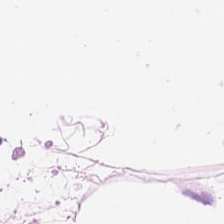0.5 µm per pixel · H&E stain.
Q: What tissue type is shown here?
A: This is adipocytes.
